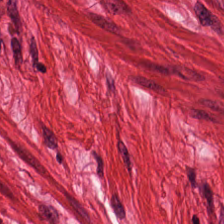H&E. Q: What tissue type is shown here?
A: It is muscularis.
